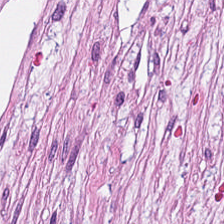224×224 px tile; H&E stain; whole-slide-image patch — The tissue type is desmoplastic stroma.
